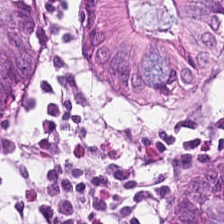Stain: hematoxylin-and-eosin stained section.
Preparation: FFPE tissue section.
Tissue type: normal colon mucosa.
